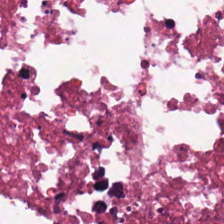H&E-stained section; the field shows cellular debris.
